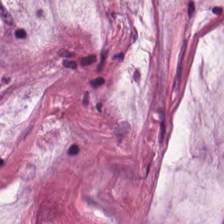Hematoxylin-and-eosin section: extracellular mucin.
